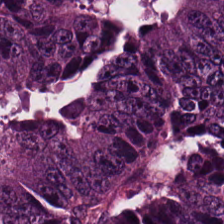The tissue here is colorectal adenocarcinoma epithelium.
